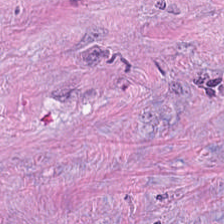Classification: cancer-associated stroma.
